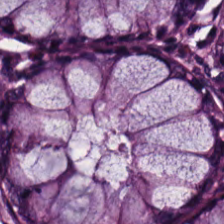FFPE; hematoxylin and eosin — The tissue type is normal colonic mucosa.
